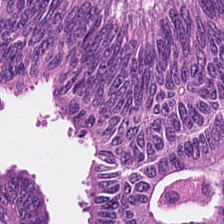Q: What type of tissue is this?
A: Malignant epithelium.
